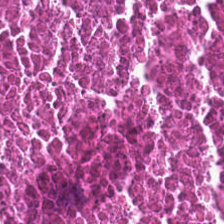H&E-stained tissue section; WSI patch — The classification is debris.
